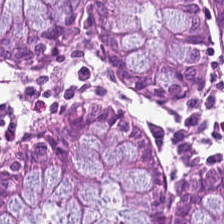The predominant tissue is non-neoplastic colon mucosa.
